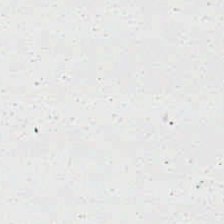Content = empty background.
